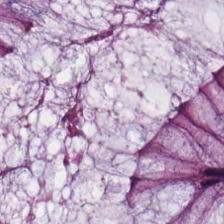Finding — normal colonic mucosa.
